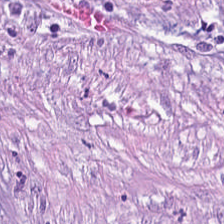Brightfield; H&E.
This field is desmoplastic stroma.
